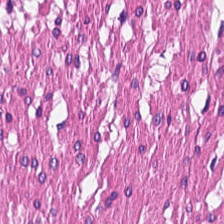Hematoxylin-and-eosin stained section; FFPE tissue section — Q: Classify this patch.
A: This is smooth muscle.
